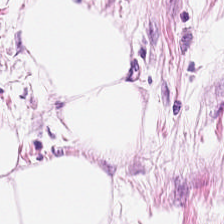Stain: H&E-stained tissue section.
Predominant tissue: fat tissue.
